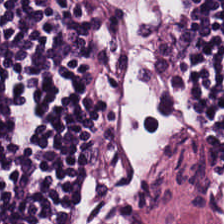H&E — The tissue here is lymphoid infiltrate.
